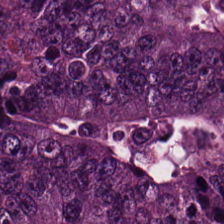{"tissue_type": "tumor epithelium"}
